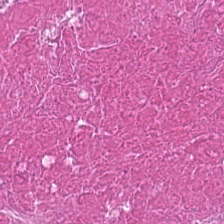Stain: hematoxylin and eosin.
Classification: necrotic debris.
